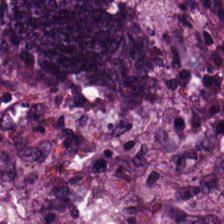H&E-stained tissue section — Showing malignant epithelium.
